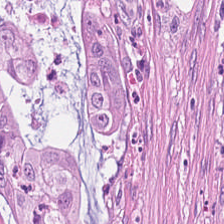FFPE tissue section · H&E. Tumor-associated stroma.
